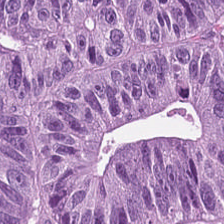H&E-stained tissue section — Classification: adenocarcinoma.
